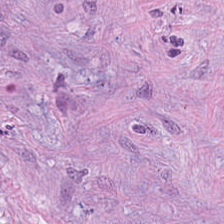{"tissue_type": "tumor stroma"}
